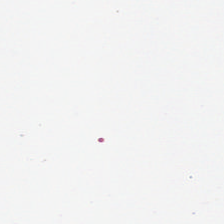224×224 pixel tile; H&E-stained tissue section; 20× equivalent magnification — This patch shows background.
